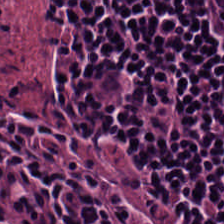0.5 µm/px · 224×224 px patch · H&E stain — Q: Classify this patch.
A: This is lymphocytes.
